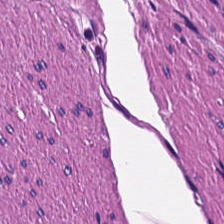Brightfield; H&E-stained tissue section — Tissue: smooth-muscle tissue.
